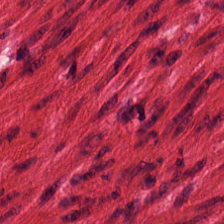H&E.
Tissue — smooth-muscle tissue.
